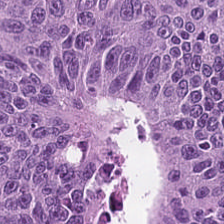H&E stain. The predominant tissue is colorectal adenocarcinoma epithelium.
